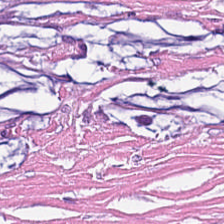Hematoxylin and eosin · 0.5 µm per pixel · whole-slide-image patch — The tissue here is desmoplastic stroma.
